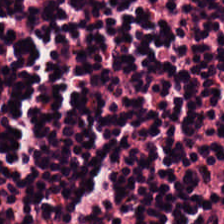H&E stain. Tissue: lymphoid infiltrate.
